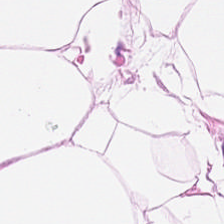Hematoxylin-and-eosin stained section.
Adipocytes.
